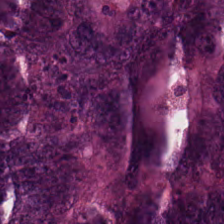20× equivalent magnification. 224×224 pixel tile. Hematoxylin and eosin.
Classification = malignant epithelium.
